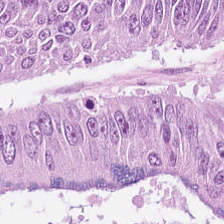224×224 px patch · hematoxylin-and-eosin stained section — Q: Identify the tissue.
A: It is malignant epithelium.
